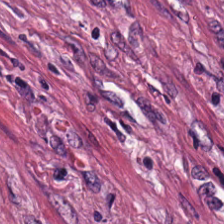Hematoxylin-and-eosin stained section. Whole-slide-image patch — Q: What is shown in this field?
A: The field shows tumor stroma.
